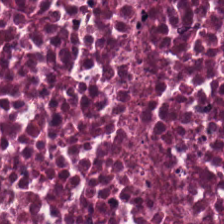Hematoxylin and eosin — The tissue here is debris.
